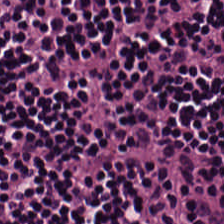Tissue = lymphocytes.
